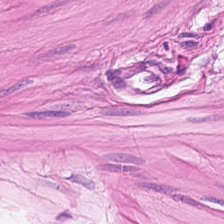H&E-stained tissue section.
This patch shows smooth muscle.
